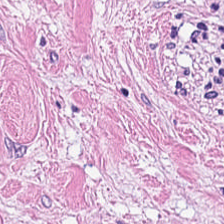The predominant tissue is cancer-associated stroma.
